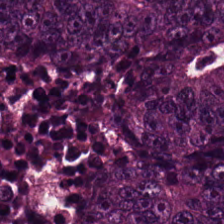H&E — adenocarcinoma.
